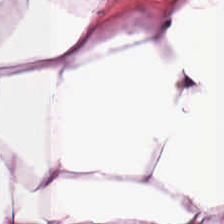FFPE; H&E-stained tissue section.
Showing fat tissue.
